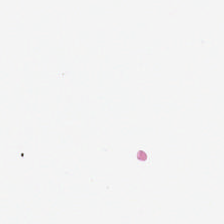Hematoxylin and eosin.
This field is background (no tissue).
